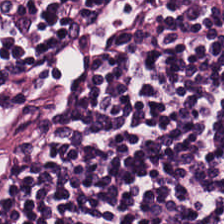Hematoxylin-and-eosin stained section.
Tissue class — lymphocytes.
